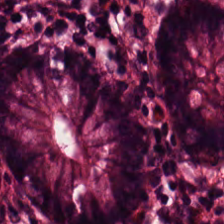H&E patch showing non-neoplastic colon mucosa.
